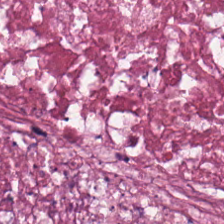H&E — Showing cellular debris.
